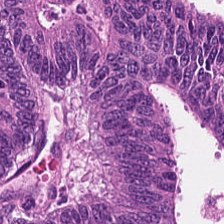Stain: H&E.
Predominant tissue: colorectal adenocarcinoma epithelium.
